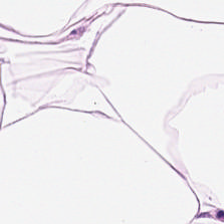Hematoxylin and eosin — {"tissue_type": "adipocytes"}
